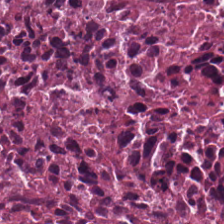H&E. Brightfield microscopy — {"tissue_type": "debris"}
